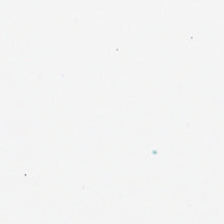H&E stain — This patch shows empty background.
